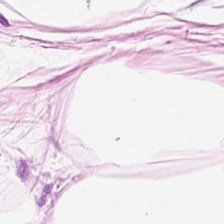Predominant tissue = fat tissue.
